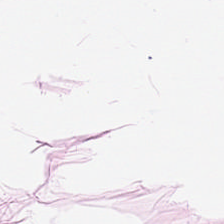Hematoxylin-and-eosin stained section. The tissue here is adipocytes.
